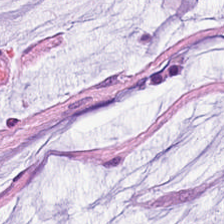Hematoxylin and eosin. Showing mucin.
